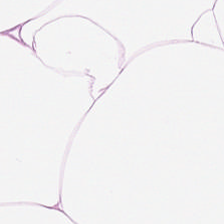0.5 µm/px; H&E; 224×224 px patch — Impression → adipose tissue.
